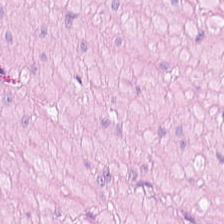Hematoxylin and eosin — Q: What does this patch show?
A: This is smooth muscle.
